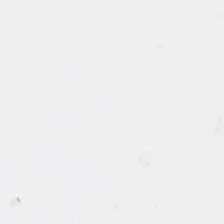Q: What is shown here?
A: It is background.
